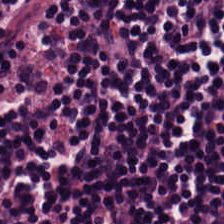Hematoxylin and eosin.
Tissue class — lymphoid infiltrate.
